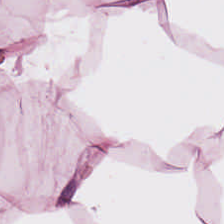Stain: hematoxylin and eosin.
Tissue class: adipocytes.
